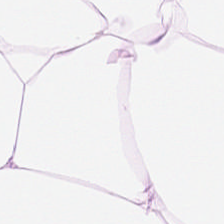H&E-stained tissue section — Classification = adipose.
